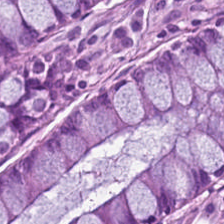H&E stain. Showing benign colonic mucosa.
